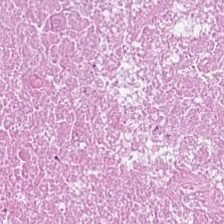Formalin-fixed paraffin-embedded section · H&E. This field is cellular debris.
